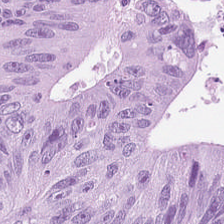Stain: hematoxylin and eosin.
Tissue type: malignant epithelium.
